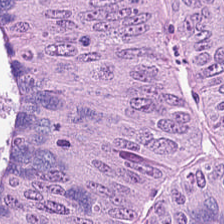Stain: hematoxylin and eosin.
Resolution: 0.5 µm per pixel.
Predominant tissue: adenocarcinoma.
